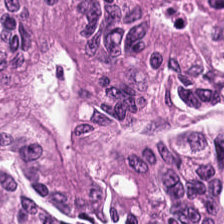Q: What tissue type is shown here?
A: Malignant epithelium.
